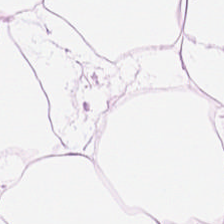H&E stain. Showing adipose tissue.
